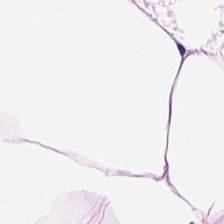H&E stain · 224×224 px tile · whole-slide-image patch.
Adipose tissue.
